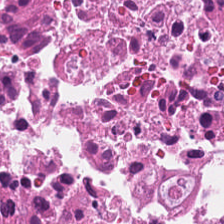Hematoxylin-and-eosin stained section. Tissue class = necrotic debris.
